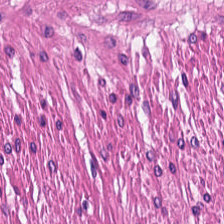This patch shows muscularis.
